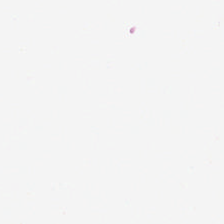Hematoxylin-and-eosin stained section — No tissue present; background only.
